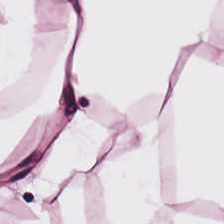H&E-stained section; the field shows adipocytes.
